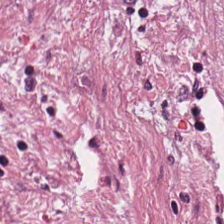H&E · 224×224 px tile. Predominantly cancer-associated stroma.
